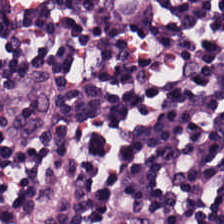H&E stain. Brightfield.
Lymphoid infiltrate.
